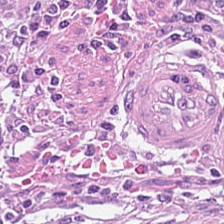H&E · 0.5 µm per pixel — Showing tumor-associated stroma.
